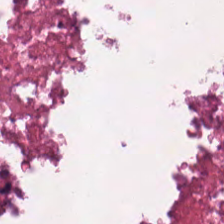H&E stain. Cellular debris.
